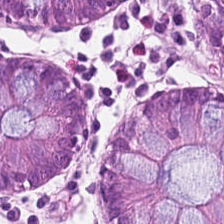H&E — Tissue = non-neoplastic colon mucosa.
